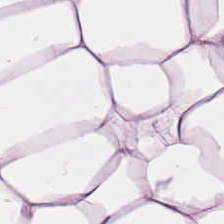224×224 pixel tile. 0.5 µm per pixel. Hematoxylin and eosin — This patch shows adipose tissue.
